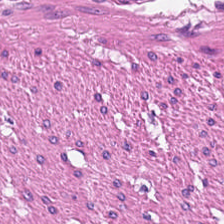Brightfield microscopy. Hematoxylin-and-eosin stained section — {"tissue_type": "smooth-muscle tissue"}
